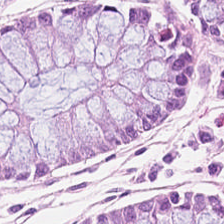Whole-slide-image patch · hematoxylin and eosin. Tissue type = non-neoplastic colon mucosa.
